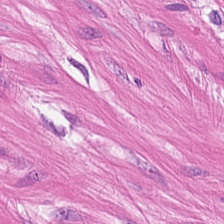H&E. Finding — smooth muscle.
